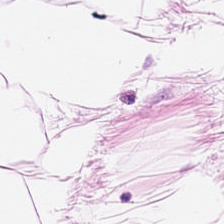Stain: H&E-stained tissue section.
Classification: adipocytes.
